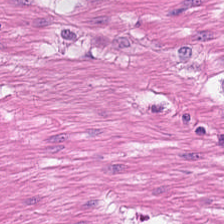H&E stain. Predominant tissue — smooth muscle.
